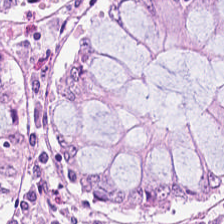Stain: H&E stain.
Tissue: benign colonic mucosa.
